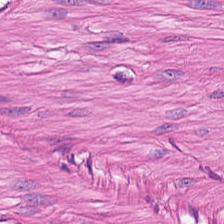Muscularis.
